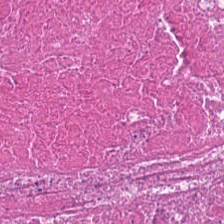FFPE · hematoxylin and eosin · WSI patch — Predominantly cellular debris.
